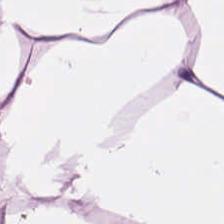Formalin-fixed paraffin-embedded section. H&E-stained tissue section. 224×224 px patch.
The predominant tissue is adipose.
